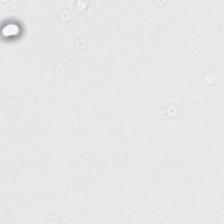224×224 pixel tile · 0.5 µm per pixel · hematoxylin and eosin.
No tissue.
